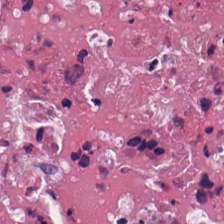H&E. Q: What type of tissue is this?
A: The field shows necrotic debris.
